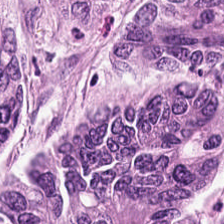Hematoxylin and eosin · FFPE tissue section.
Tissue type: tumor epithelium.
